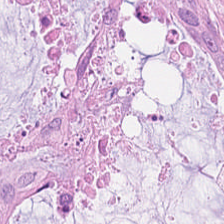Hematoxylin-and-eosin stained section; brightfield microscopy; 224×224 px tile — This field is adenocarcinoma.
